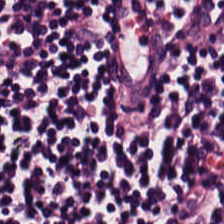Q: What tissue is shown?
A: This is lymphoid infiltrate.
